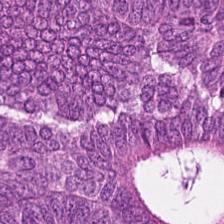Tissue type = colorectal adenocarcinoma.
